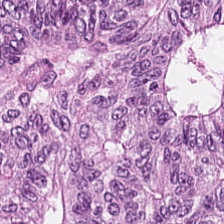This field is colorectal adenocarcinoma.
